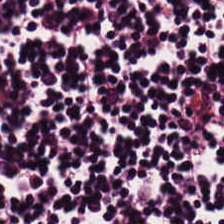Tissue: lymphocytes.
